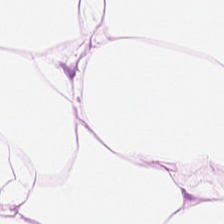Histology → fat tissue.
